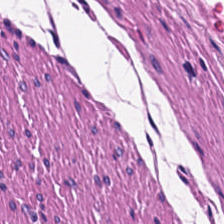0.5 µm/px · H&E-stained tissue section. {"tissue_type": "smooth-muscle tissue"}
